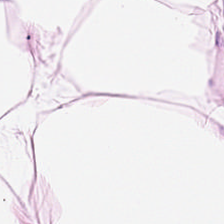Hematoxylin-and-eosin stained section — Showing adipose.
